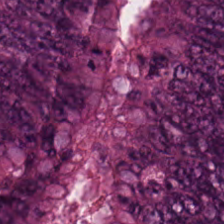H&E.
The predominant tissue is mucin.
